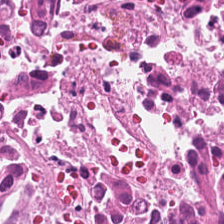Stain: H&E stain.
Acquisition: WSI patch.
Classification: debris.
